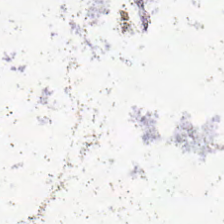Background — no tissue in this field.
